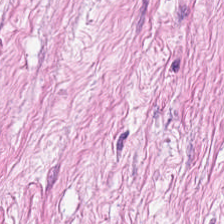0.5 µm/px; H&E-stained tissue section. Predominant tissue: tumor stroma.
